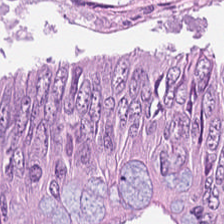Hematoxylin-and-eosin section: colorectal adenocarcinoma.
